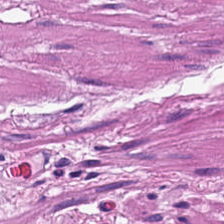H&E — The tissue is smooth muscle.
